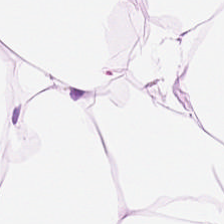H&E-stained tissue section. Tissue: adipocytes.
